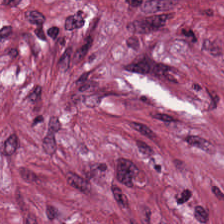H&E-stained tissue section.
Predominantly cancer-associated stroma.
